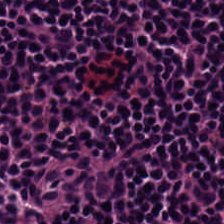0.5 microns per pixel; hematoxylin-and-eosin stained section — Q: Classify this patch.
A: Lymphoid infiltrate.
